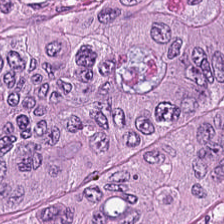Hematoxylin and eosin. Showing malignant epithelium.
